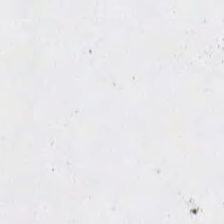Q: What is shown in this field?
A: No tissue.
